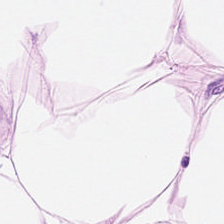Tissue type: adipocytes.
